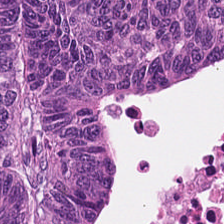H&E-stained section; the field shows colorectal adenocarcinoma epithelium.
